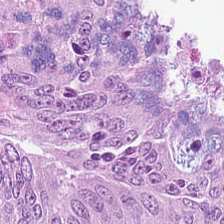H&E · whole-slide-image patch.
Tissue class = colorectal adenocarcinoma epithelium.
